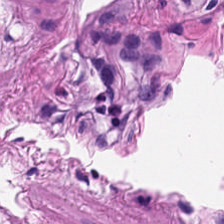H&E-stained section; the field shows smooth-muscle tissue.
